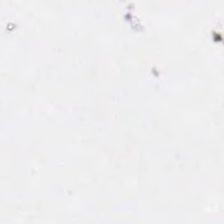This patch shows no tissue.
